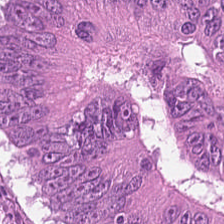Hematoxylin-and-eosin stained section. Predominant tissue: adenocarcinoma.
